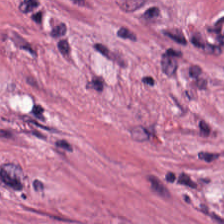The tissue here is cancer-associated stroma.
